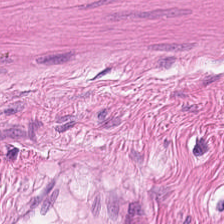Classification = smooth muscle.
